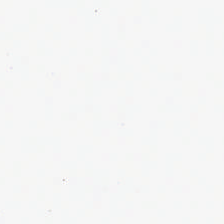Hematoxylin-and-eosin stained section.
The classification is empty background.
